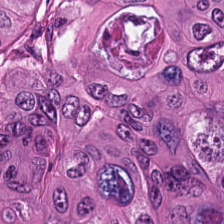H&E-stained tissue section; 224×224 px patch; 20× equivalent magnification. Predominantly colorectal adenocarcinoma epithelium.
